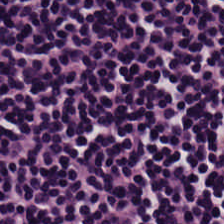0.5 µm/px · hematoxylin-and-eosin stained section.
Tissue class — lymphocyte aggregate.
